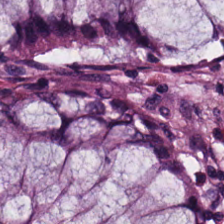H&E; FFPE; 224×224 px tile. Tissue type: normal colonic mucosa.
